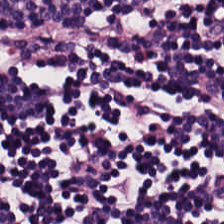H&E stain — Q: Classify this patch.
A: The field shows lymphocytes.
